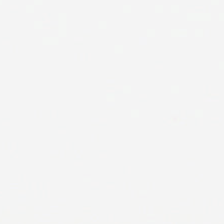Hematoxylin and eosin. Field content — background.
